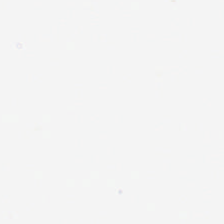Hematoxylin and eosin. Q: What does this patch show?
A: This is background.
